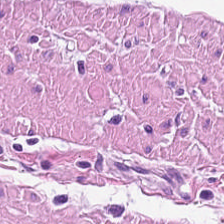FFPE · whole-slide-image patch · H&E — Predominantly smooth muscle.
